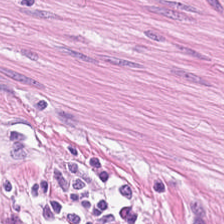Q: Classify this patch.
A: This is smooth muscle.
